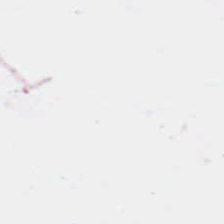Stain: H&E.
Resolution: 20× equivalent magnification.
Content: background (no tissue).
